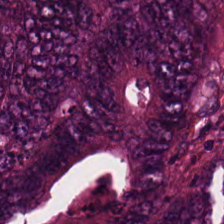Whole-slide-image patch. FFPE. H&E stain.
{"tissue_type": "tumor epithelium"}
